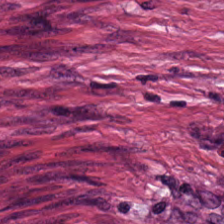Finding → tumor-associated stroma.
